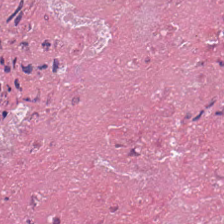Hematoxylin-and-eosin stained section — Showing necrotic debris.
